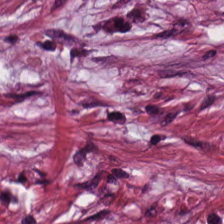Hematoxylin and eosin — Predominantly tumor stroma.
